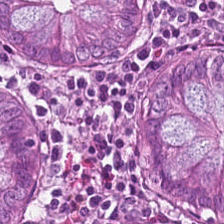H&E stain — The tissue here is benign colonic mucosa.
